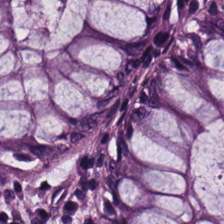Showing normal colon mucosa.
